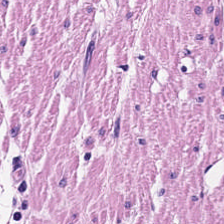Q: What is shown in this field?
A: Smooth-muscle tissue.
